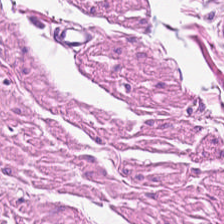Brightfield microscopy; H&E stain.
Tissue class: muscularis.
